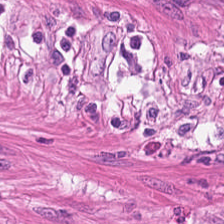The tissue type is smooth-muscle tissue.
